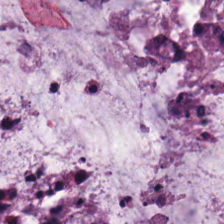224×224 px patch · FFPE tissue section · H&E — Predominant tissue — mucin.
